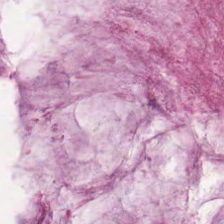Predominant tissue: mucin.
